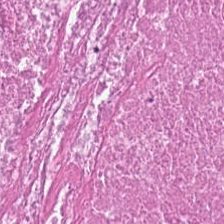Stain: H&E stain.
Resolution: 0.5 microns per pixel.
Tissue class: debris.
